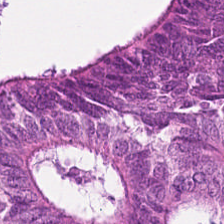H&E-stained tissue section. 20× equivalent magnification — The tissue here is malignant epithelium.
